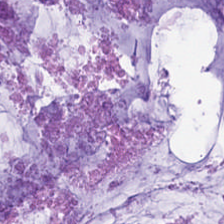0.5 µm per pixel · whole-slide-image patch · hematoxylin-and-eosin stained section.
{"tissue_type": "mucin"}
